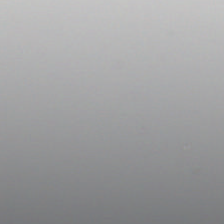Empty field — empty background.
